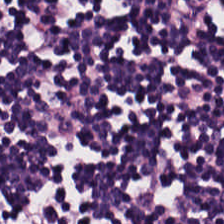FFPE. Hematoxylin and eosin. Whole-slide-image patch.
Lymphocyte aggregate.
